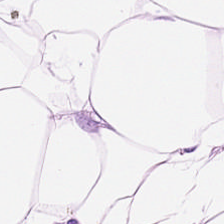H&E stain.
Q: What tissue is shown?
A: Adipocytes.
